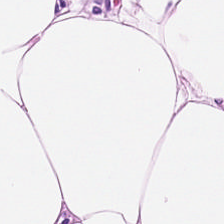Stain: H&E stain.
Predominant tissue: adipose.
